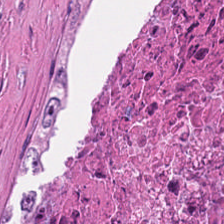Hematoxylin-and-eosin stained section. Showing debris.
